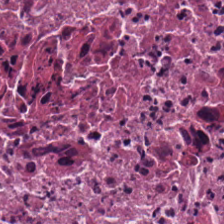H&E-stained tissue section.
{"tissue_type": "debris"}
